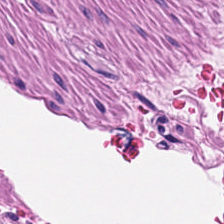Formalin-fixed paraffin-embedded section; H&E.
Predominantly muscularis.
